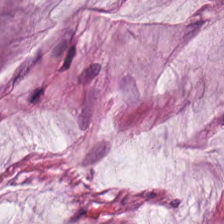Brightfield; H&E stain.
Finding — extracellular mucin.
